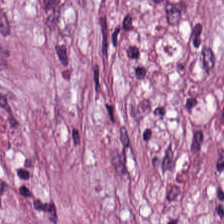Stain: H&E-stained tissue section.
Tissue type: cancer-associated stroma.
